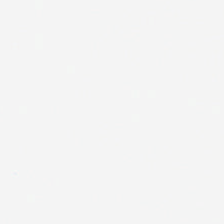Empty field — background (no tissue).
